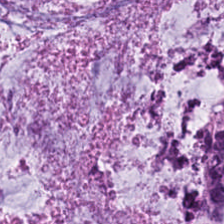WSI patch · H&E-stained tissue section · 0.5 µm per pixel — The tissue is mucin.
